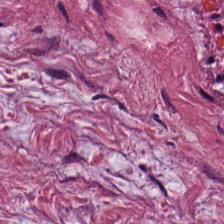H&E-stained tissue section showing desmoplastic stroma.
